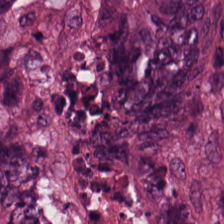0.5 µm/px. H&E. 224×224 px patch — Predominantly malignant epithelium.
